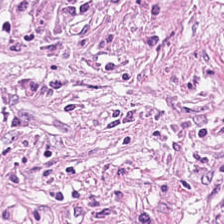H&E. FFPE tissue section. The predominant tissue is tumor stroma.
